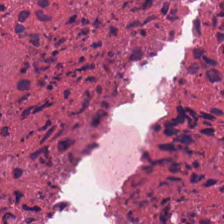H&E — The predominant tissue is necrotic debris.
